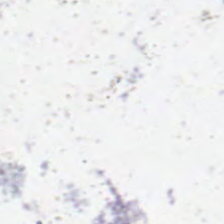Background — no tissue in this field.
